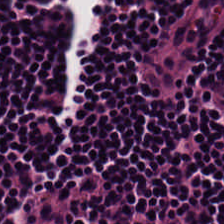Hematoxylin-and-eosin stained section — Classification = lymphocyte aggregate.
